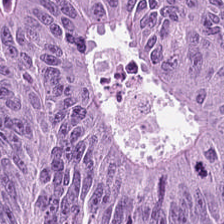H&E-stained tissue section showing tumor epithelium.
